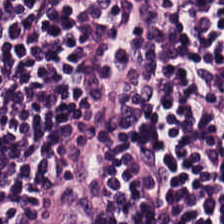H&E patch showing lymphocytes.
